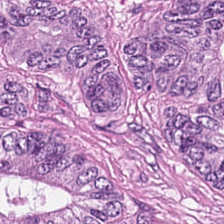The predominant tissue is malignant epithelium.
